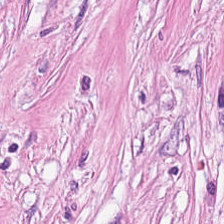WSI patch. H&E. 224×224 px tile — Finding → tumor-associated stroma.
